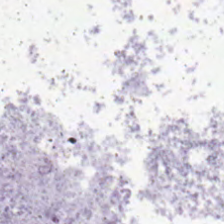0.5 µm/px. H&E-stained tissue section. 224×224 pixel tile. {"content": "no tissue"}
